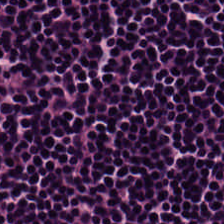Hematoxylin and eosin · brightfield · 224×224 pixel tile. Q: What does this patch show?
A: The field shows lymphocytes.
